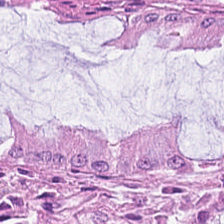Hematoxylin and eosin — Impression → normal colonic mucosa.
